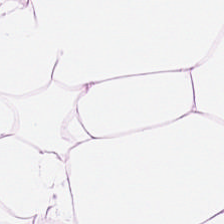0.5 microns per pixel; hematoxylin-and-eosin stained section. Predominantly adipose.
